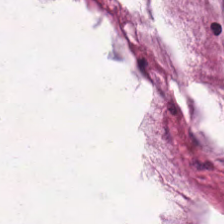H&E-stained tissue section — Q: What is the predominant tissue type?
A: The field shows extracellular mucin.
